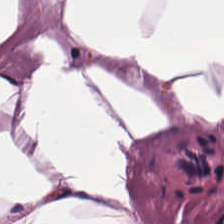H&E stain; 0.5 microns per pixel; brightfield microscopy. This field is adipose tissue.
